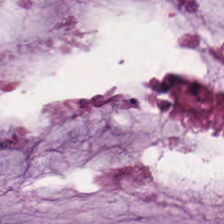224×224 px patch; whole-slide-image patch; H&E-stained tissue section — Tissue class — mucin.
